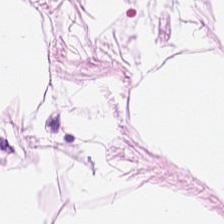Stain: H&E.
Tile size: 224×224 px patch.
Preparation: formalin-fixed paraffin-embedded section.
Classification: fat tissue.
